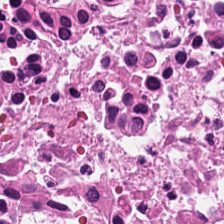224×224 px patch; H&E-stained tissue section.
Tissue type = necrotic debris.
